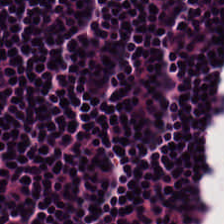224×224 px patch · H&E.
Q: What tissue type is shown here?
A: This is lymphocytic infiltrate.
